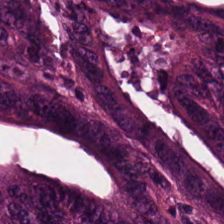0.5 µm/px · hematoxylin-and-eosin stained section — This field is tumor epithelium.
